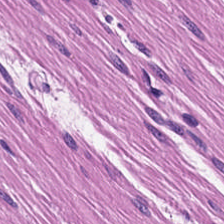H&E-stained tissue section.
This patch shows muscularis.
